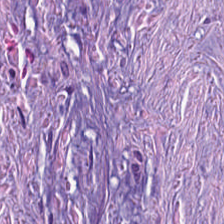H&E stain.
Showing tumor-associated stroma.
